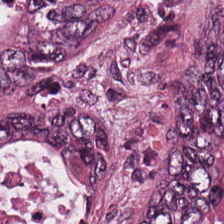Tissue class — malignant epithelium.
